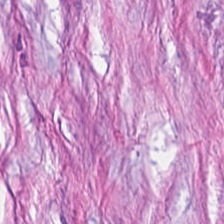H&E. Finding → tumor-associated stroma.
